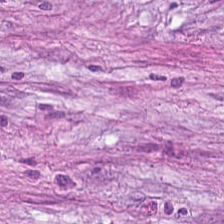H&E-stained tissue section.
Predominant tissue — tumor-associated stroma.
